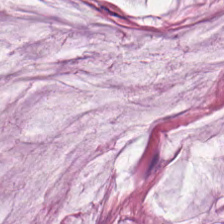Stain: hematoxylin-and-eosin stained section.
Predominant tissue: extracellular mucin.
